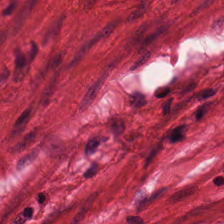H&E-stained tissue section.
The predominant tissue is smooth muscle.
